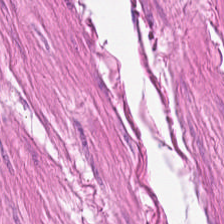FFPE. H&E stain — Tissue type = smooth muscle.
